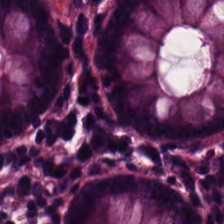Hematoxylin and eosin. Tissue — benign colonic mucosa.
